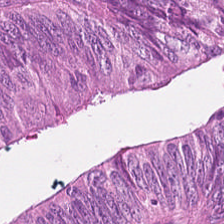Brightfield microscopy · hematoxylin-and-eosin stained section.
Predominant tissue — colorectal adenocarcinoma.
